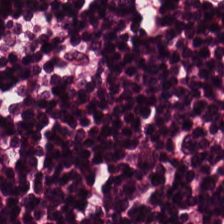Lymphocyte aggregate.
